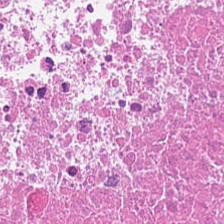Hematoxylin-and-eosin stained section — Q: What tissue type is shown here?
A: The field shows cellular debris.
